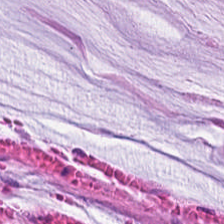H&E.
The predominant tissue is extracellular mucin.
